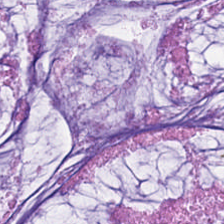H&E-stained tissue section. Tissue: mucin.
